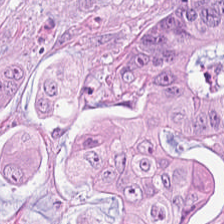224×224 pixel tile. H&E stain. Tissue type — tumor epithelium.
